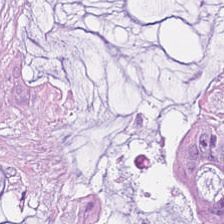FFPE · H&E · 224×224 px patch.
{"tissue_type": "mucin"}
